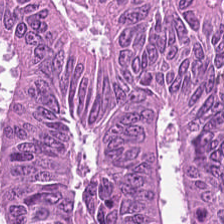Hematoxylin-and-eosin stained section · 224×224 pixel tile.
Tumor epithelium.
